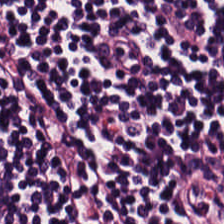H&E.
Showing lymphocytes.
